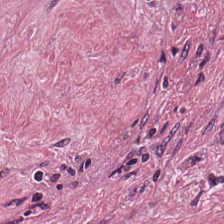224×224 px patch; H&E stain; whole-slide-image patch — Showing cancer-associated stroma.
